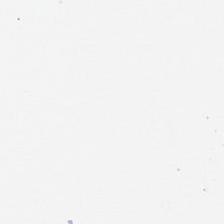Hematoxylin-and-eosin stained section; WSI patch; 0.5 microns per pixel — The classification is no tissue.
